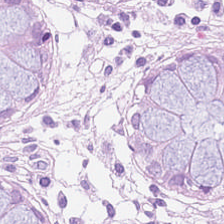Q: What is shown in this field?
A: It is non-neoplastic colon mucosa.
